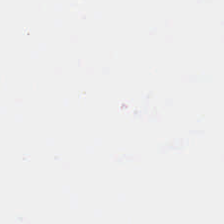0.5 microns per pixel · hematoxylin-and-eosin stained section.
Q: What does this patch show?
A: This is no tissue.
